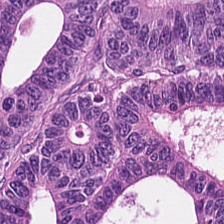H&E. Showing tumor epithelium.
